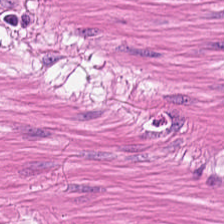Stain: H&E.
Classification: muscularis.
